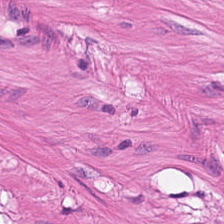0.5 microns per pixel. WSI patch. H&E-stained tissue section — Tissue = smooth-muscle tissue.
